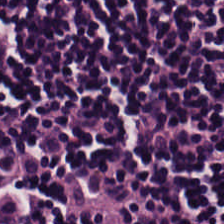H&E stain. Tissue type: lymphocyte aggregate.
